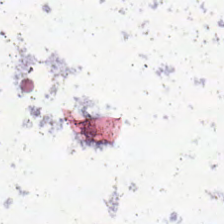The classification is background (no tissue).
